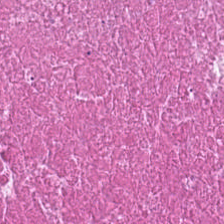Stain: H&E-stained tissue section.
Tissue type: cellular debris.
